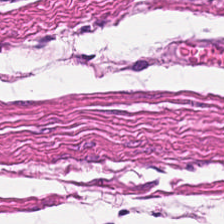H&E stain.
This patch shows muscularis.
